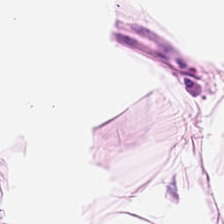Brightfield microscopy; hematoxylin-and-eosin stained section; 0.5 µm/px.
The classification is adipose tissue.
